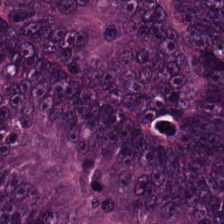Predominant tissue = malignant epithelium.
